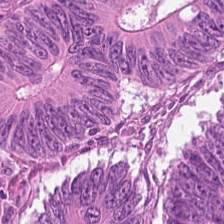H&E-stained tissue section showing adenocarcinoma.
